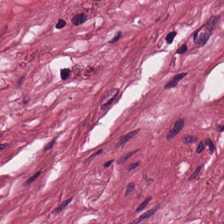Predominant tissue — cancer-associated stroma.
